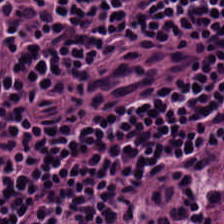Hematoxylin and eosin — Predominant tissue = lymphocytic infiltrate.
